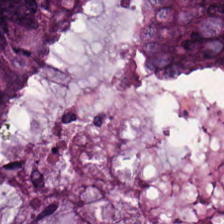Hematoxylin-and-eosin stained section. The tissue type is colorectal adenocarcinoma epithelium.
